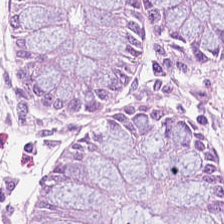H&E stain. Whole-slide-image patch — Showing benign colonic mucosa.
